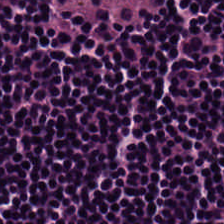224×224 px patch; FFPE; H&E-stained tissue section.
Finding → lymphocyte aggregate.
